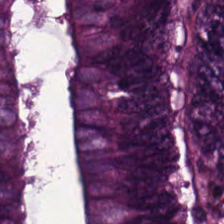Hematoxylin-and-eosin stained section.
Predominantly malignant epithelium.
